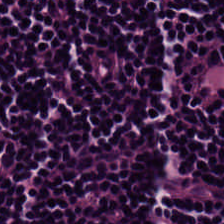Hematoxylin-and-eosin stained section · whole-slide-image patch · 0.5 microns per pixel.
Showing lymphocytic infiltrate.
